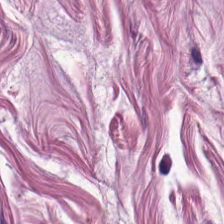Stain: H&E stain.
Predominant tissue: smooth-muscle tissue.
